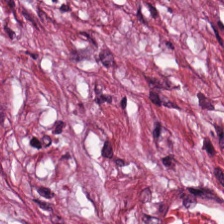Hematoxylin-and-eosin stained section. 20× equivalent magnification. Finding → cancer-associated stroma.
